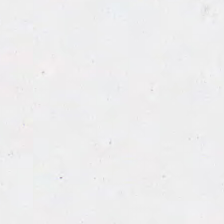H&E · 224×224 px tile — {"content": "no tissue"}
